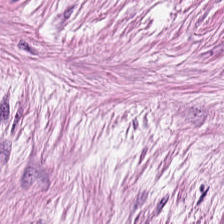Brightfield microscopy; 0.5 microns per pixel; H&E stain.
This field is tumor stroma.
